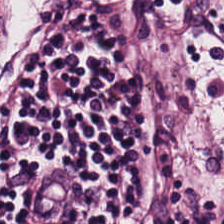0.5 µm/px. Hematoxylin and eosin. FFPE tissue section.
The classification is lymphoid infiltrate.
